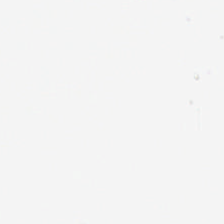Classification = empty background.
